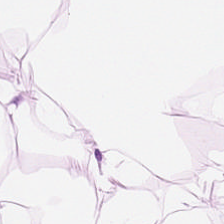Predominant tissue = fat tissue.
